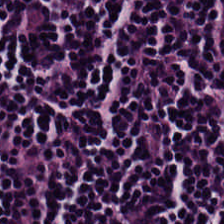Finding → lymphocytic infiltrate.
